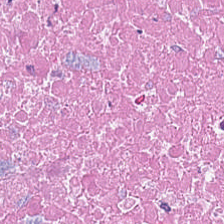Hematoxylin and eosin.
The predominant tissue is cellular debris.
